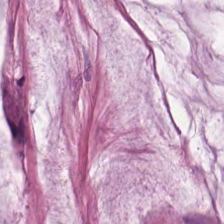H&E — Impression → mucin.
